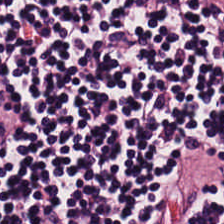Stain: H&E stain.
Tissue: lymphoid infiltrate.
